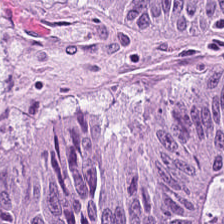Histology — adenocarcinoma.
